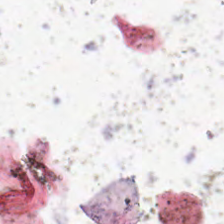H&E stain.
{"content": "background (no tissue)"}
